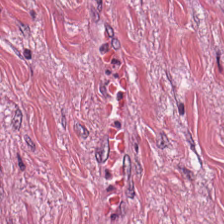Q: What type of tissue is this?
A: It is cancer-associated stroma.
